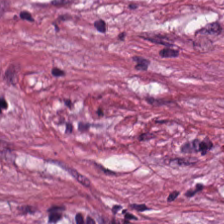Hematoxylin and eosin — Predominant tissue — tumor stroma.
